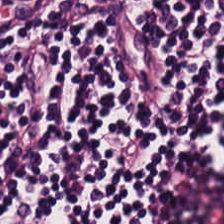Hematoxylin and eosin · 224×224 px tile · 0.5 µm/px.
Finding — lymphocytic infiltrate.
